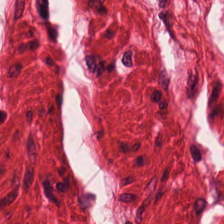H&E. Smooth-muscle tissue.
